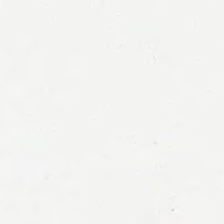Hematoxylin-and-eosin stained section. {"content": "no tissue"}
